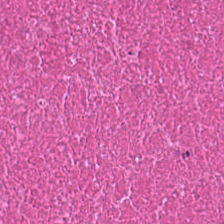Stain: H&E stain.
Tissue class: debris.
